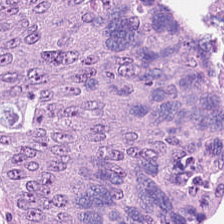H&E-stained tissue section · formalin-fixed paraffin-embedded section — Tissue type — adenocarcinoma.
